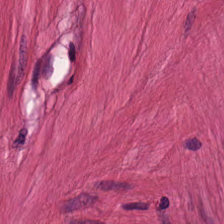H&E stain.
The classification is smooth muscle.
